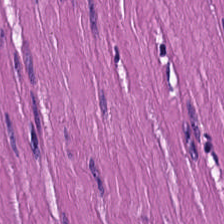H&E-stained tissue section — Tissue class: smooth muscle.
